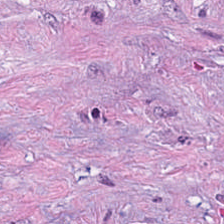Hematoxylin-and-eosin stained section — Tissue type = cancer-associated stroma.
